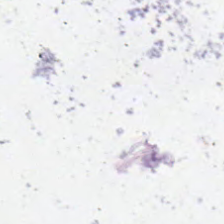H&E — Empty field — empty background.
